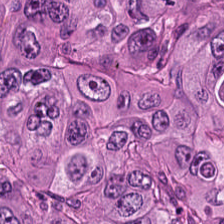Hematoxylin and eosin; 224×224 px patch. Tissue — colorectal adenocarcinoma.
